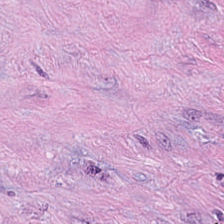Stain: H&E.
Classification: cancer-associated stroma.
